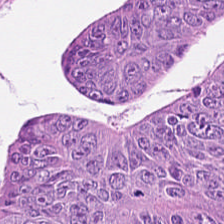H&E stain. The predominant tissue is colorectal adenocarcinoma epithelium.
